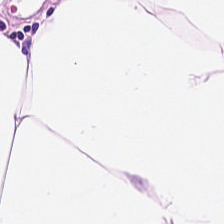Hematoxylin-and-eosin stained section; 0.5 µm/px; formalin-fixed paraffin-embedded section. The tissue here is adipocytes.
